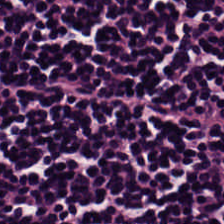H&E stain. Lymphocytes.
